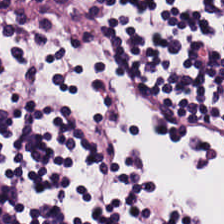FFPE. H&E-stained tissue section. Tissue type = lymphocyte aggregate.
